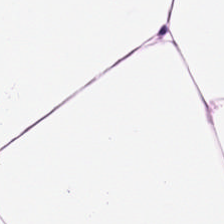{"tissue_type": "adipose"}
